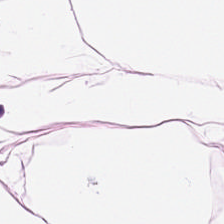H&E stain; brightfield; 224×224 px patch. Tissue class = adipose tissue.
